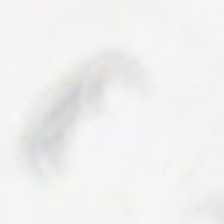The content is background (no tissue).
